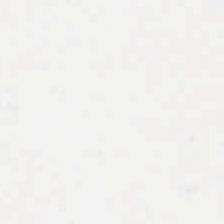Impression — background.
